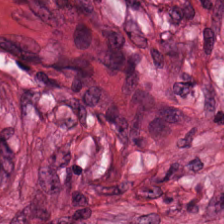Stain: hematoxylin-and-eosin stained section.
Classification: desmoplastic stroma.
